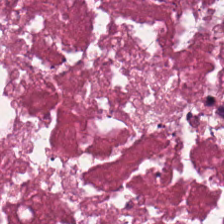H&E-stained tissue section — Classification: debris.
